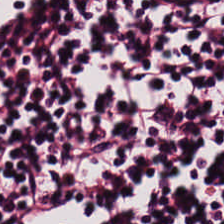Tissue type: lymphocytic infiltrate.
